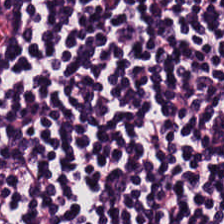Stain: H&E stain.
Classification: lymphocyte aggregate.
